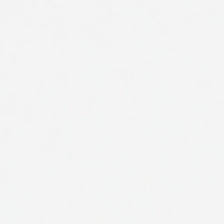H&E stain. Content — no tissue.
